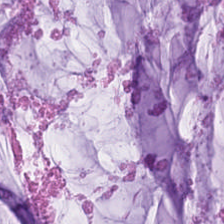Hematoxylin-and-eosin stained section. FFPE tissue section. 0.5 µm/px.
Q: What tissue type is shown here?
A: The field shows mucus.
